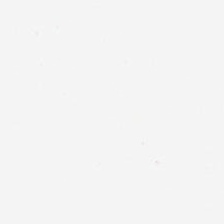The classification is empty background.
